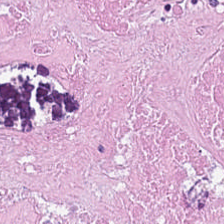Hematoxylin-and-eosin stained section · FFPE tissue section. Debris.
